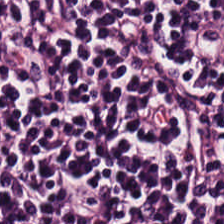H&E stain. Tissue class = lymphocytic infiltrate.
